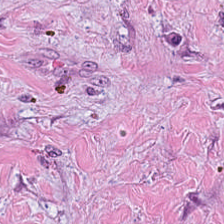0.5 µm/px; hematoxylin-and-eosin stained section — This patch shows tumor stroma.
